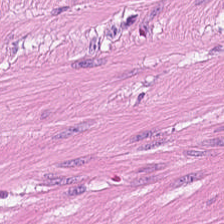H&E.
Q: What is shown in this field?
A: Smooth muscle.
